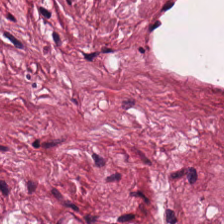H&E.
The tissue is tumor stroma.
